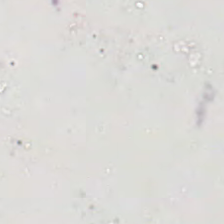FFPE tissue section · 0.5 microns per pixel · hematoxylin and eosin. Q: What is shown here?
A: This is background (no tissue).
